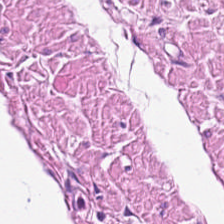H&E-stained tissue section — Histology → smooth muscle.
